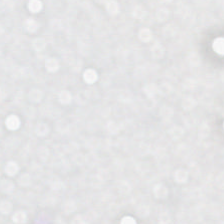Hematoxylin-and-eosin stained section — No tissue.
